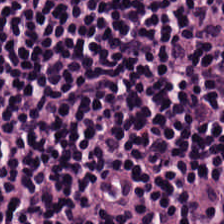Tissue = lymphocyte aggregate.
